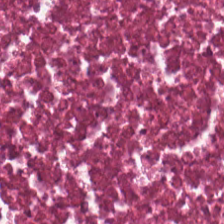H&E · formalin-fixed paraffin-embedded section.
Showing debris.
